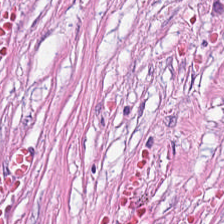H&E-stained tissue section.
The predominant tissue is tumor stroma.
